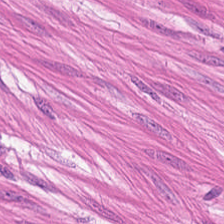0.5 µm/px. H&E stain — Q: What tissue type is shown here?
A: Smooth-muscle tissue.
